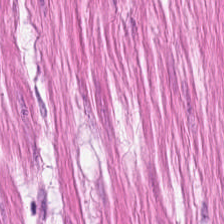Brightfield · hematoxylin and eosin.
Predominant tissue: muscularis.
